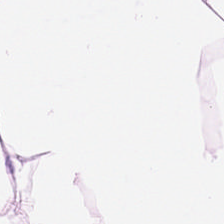H&E stain. 0.5 µm/px. This field is fat tissue.
